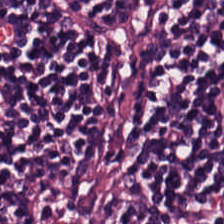H&E-stained tissue section. This patch shows lymphoid infiltrate.
